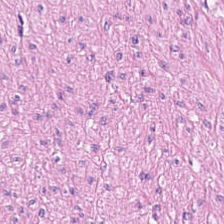Impression — muscularis.
